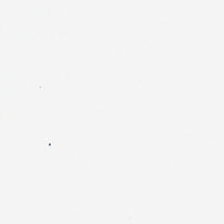20× equivalent magnification; hematoxylin and eosin; 224×224 px tile. No tissue.
